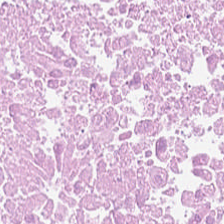224×224 px patch; hematoxylin and eosin. Predominantly debris.
